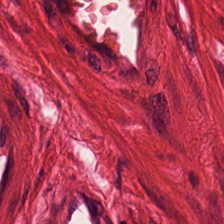Hematoxylin-and-eosin stained section — Tissue type = smooth-muscle tissue.
